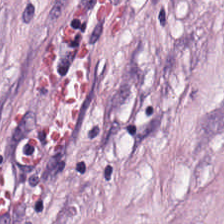The classification is desmoplastic stroma.
